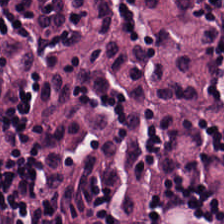H&E patch showing lymphocytes.
